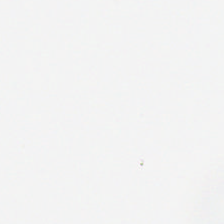Field content = no tissue.
